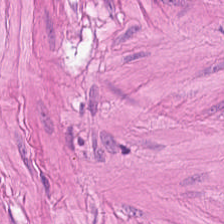Hematoxylin-and-eosin stained section — Predominant tissue: muscularis.
